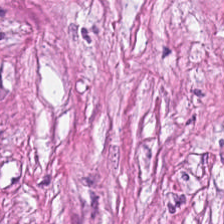Formalin-fixed paraffin-embedded section; hematoxylin and eosin; 0.5 µm/px. Predominant tissue: desmoplastic stroma.
